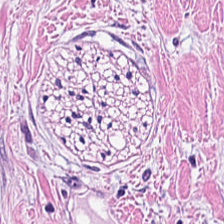Hematoxylin and eosin.
Finding → tumor-associated stroma.
